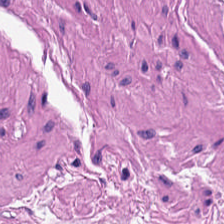Hematoxylin-and-eosin stained section — The classification is smooth-muscle tissue.
